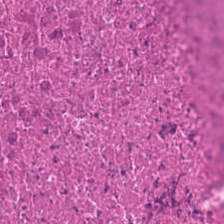224×224 pixel tile; H&E stain.
Tissue — necrotic debris.
